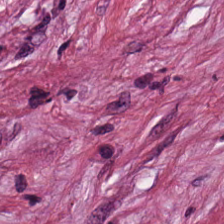H&E-stained tissue section.
The tissue here is cancer-associated stroma.
